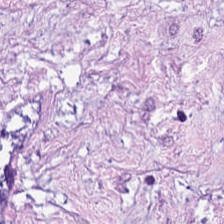H&E. Tissue class: desmoplastic stroma.
